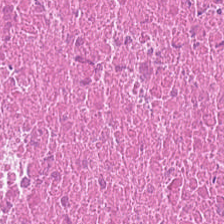Hematoxylin and eosin. Tissue type — cellular debris.
